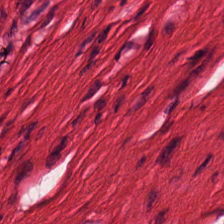H&E stain.
Q: Classify this patch.
A: Smooth-muscle tissue.
